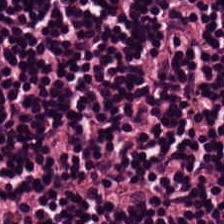H&E — The predominant tissue is lymphocyte aggregate.
